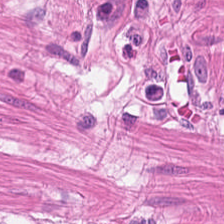H&E — Q: What tissue is shown?
A: It is muscularis.
